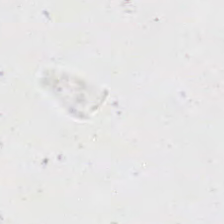This patch shows background (no tissue).
